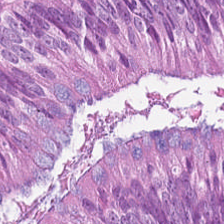The predominant tissue is colorectal adenocarcinoma.
